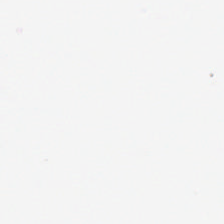Impression → background.
